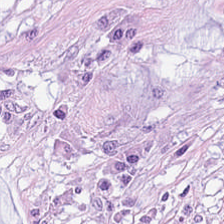Hematoxylin and eosin.
The tissue type is mucin.
